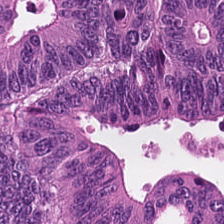Hematoxylin-and-eosin stained section · 224×224 px tile · 20× equivalent magnification. The tissue here is colorectal adenocarcinoma epithelium.
